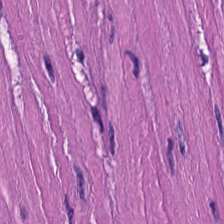Hematoxylin-and-eosin stained section · whole-slide-image patch · formalin-fixed paraffin-embedded section — Classification: smooth-muscle tissue.
